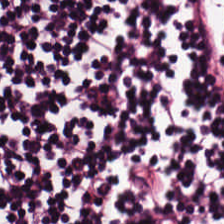H&E-stained tissue section.
Tissue: lymphocytes.
